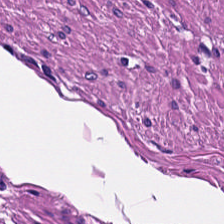WSI patch; hematoxylin and eosin.
This field is smooth-muscle tissue.
